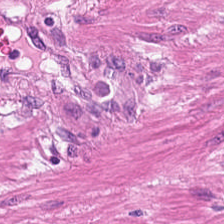Stain: hematoxylin and eosin.
Classification: smooth muscle.
